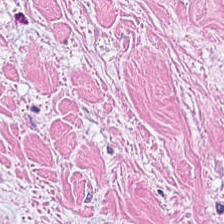Hematoxylin and eosin; 224×224 px tile — Impression → tumor stroma.
